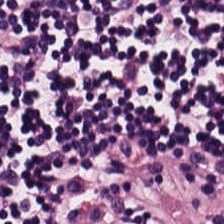H&E-stained tissue section. Whole-slide-image patch — Q: What tissue is shown?
A: This is lymphocytic infiltrate.
